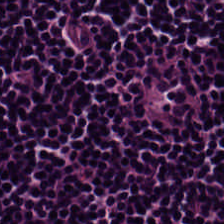Formalin-fixed paraffin-embedded section. 20× equivalent magnification. H&E stain — Lymphocytes.
